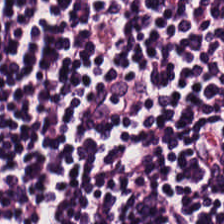0.5 µm per pixel · H&E-stained tissue section. The tissue is lymphocytic infiltrate.
